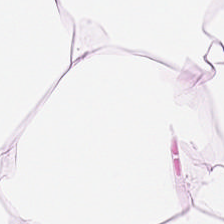WSI patch. H&E-stained tissue section. Adipose.
